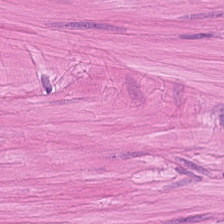Hematoxylin-and-eosin stained section; 224×224 px tile — This field is muscularis.
